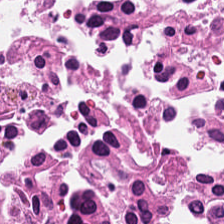Stain: H&E.
Predominant tissue: necrotic debris.
